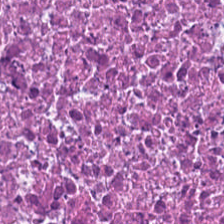Stain: H&E.
Tissue type: necrotic debris.
